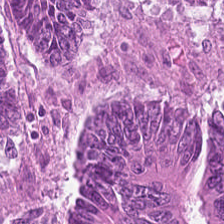Hematoxylin-and-eosin stained section — Q: Identify the tissue.
A: The field shows tumor epithelium.
